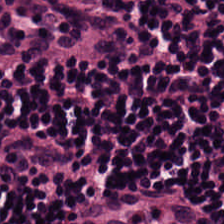Formalin-fixed paraffin-embedded section. Hematoxylin-and-eosin stained section. Showing lymphocytes.
